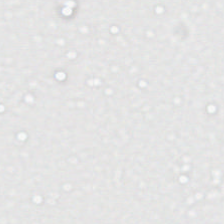Stain: H&E stain.
Classification: no tissue.
